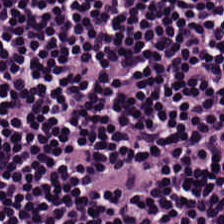0.5 microns per pixel · FFPE · H&E. Showing lymphoid infiltrate.
